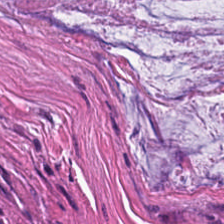224×224 px tile. H&E stain. FFPE tissue section — Mucin.
